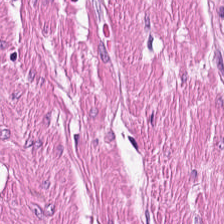H&E stain; 20× equivalent magnification; 224×224 px patch — Smooth muscle.
